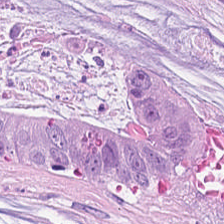H&E-stained tissue section.
Finding → mucin.
